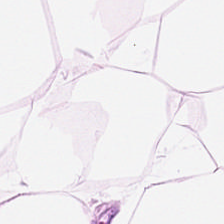Hematoxylin and eosin; brightfield. The predominant tissue is adipose.
